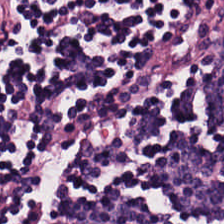This field is lymphoid infiltrate.
